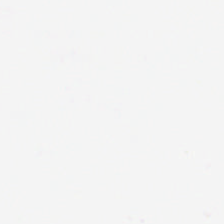Stain: hematoxylin-and-eosin stained section.
Content: no tissue.
